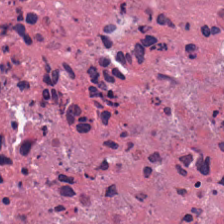Formalin-fixed paraffin-embedded section. 0.5 microns per pixel. H&E stain — The tissue type is cellular debris.
